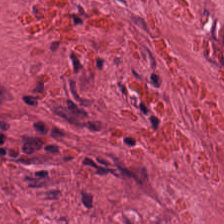Stain: H&E.
Tissue: desmoplastic stroma.
